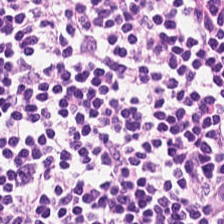Tissue type — lymphocyte aggregate.
